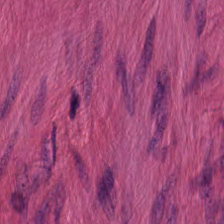Impression → smooth-muscle tissue.
